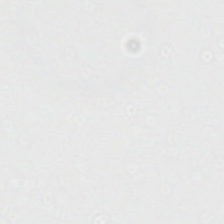224×224 px tile. H&E stain — Finding → no tissue.
